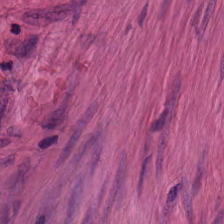Hematoxylin-and-eosin stained section · 0.5 µm/px — Impression → smooth muscle.
